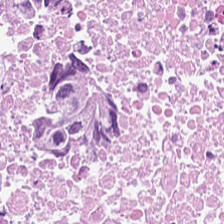Stain: H&E.
Tile size: 224×224 px tile.
Classification: debris.
